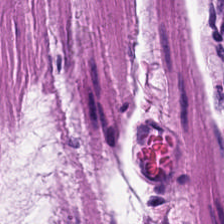H&E stain · formalin-fixed paraffin-embedded section. Q: What is shown here?
A: This is smooth muscle.
